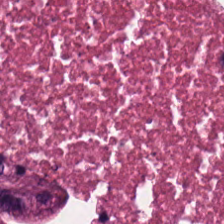H&E stain. The tissue here is necrotic debris.
